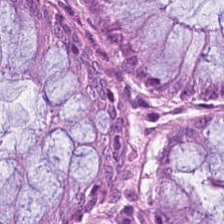Finding — normal colon mucosa.
